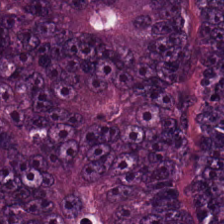Impression → tumor epithelium.
